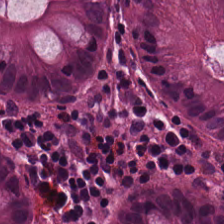Hematoxylin and eosin. The tissue here is normal colonic mucosa.
